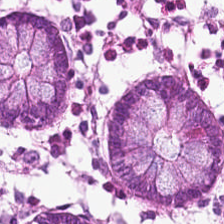Impression — benign colonic mucosa.
